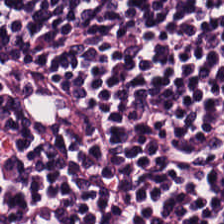H&E. Classification — lymphoid infiltrate.
